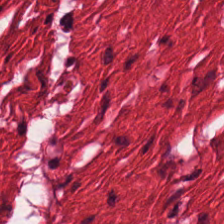Stain: H&E.
Tile size: 224×224 px tile.
Tissue: smooth-muscle tissue.
